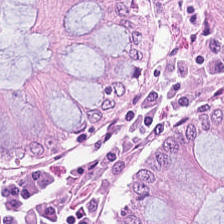Whole-slide-image patch · H&E — Showing benign colonic mucosa.
